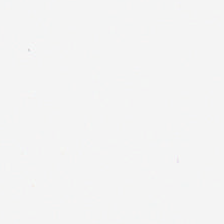H&E — This field is background (no tissue).
